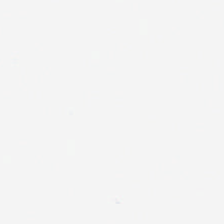Hematoxylin and eosin. Brightfield. Formalin-fixed paraffin-embedded section. Background.
